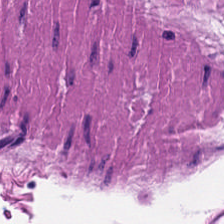224×224 pixel tile · hematoxylin and eosin — Impression → muscularis.
